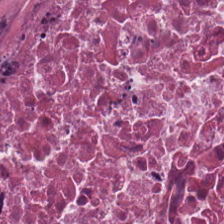FFPE tissue section; H&E.
Histology — necrotic debris.
